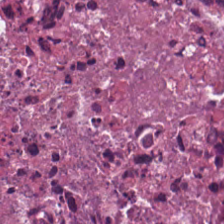H&E-stained tissue section showing necrotic debris.
